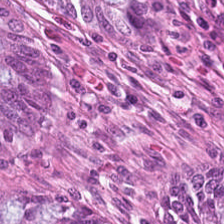Q: Classify this patch.
A: This is normal colonic mucosa.
